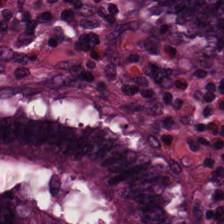H&E stain. FFPE tissue section — Predominantly normal colon mucosa.
